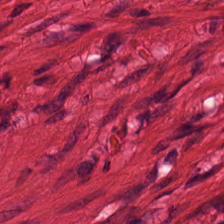Q: What is shown here?
A: It is muscularis.
